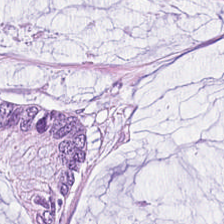Hematoxylin-and-eosin stained section · 0.5 microns per pixel — Predominantly mucus.
